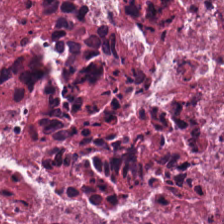H&E. Predominant tissue = debris.
